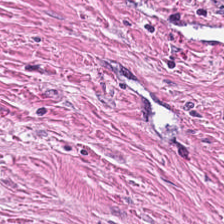Q: What type of tissue is this?
A: The field shows cancer-associated stroma.
